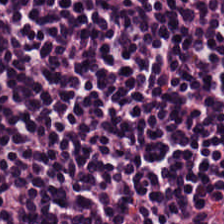H&E-stained tissue section. Whole-slide-image patch — Q: What is shown here?
A: The field shows lymphocytes.
